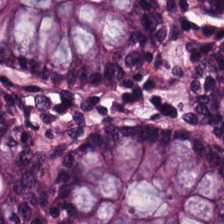Hematoxylin-and-eosin stained section — Showing normal colon mucosa.
